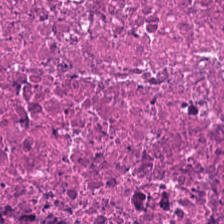Stain: hematoxylin-and-eosin stained section.
Tissue class: necrotic debris.
